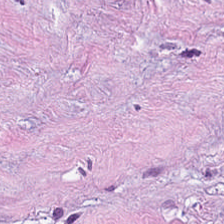Whole-slide-image patch · hematoxylin-and-eosin stained section — This patch shows cancer-associated stroma.
